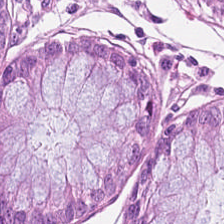H&E-stained tissue section · FFPE tissue section.
The predominant tissue is non-neoplastic colon mucosa.
